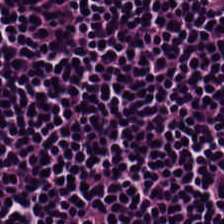H&E — Impression → lymphocytic infiltrate.
